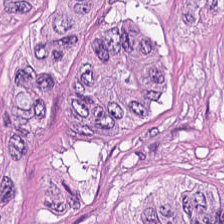Stain: H&E.
Tissue type: adenocarcinoma.
